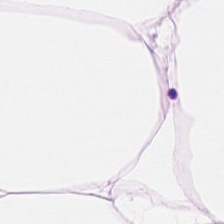WSI patch; hematoxylin and eosin.
The predominant tissue is adipocytes.
